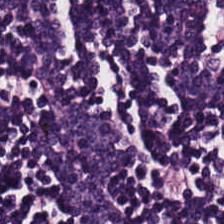Hematoxylin and eosin.
Lymphocytes.
